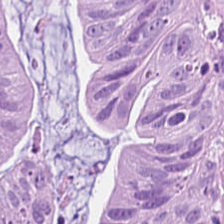Predominantly adenocarcinoma.
